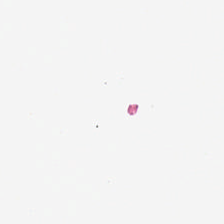Background — no tissue in this field.
